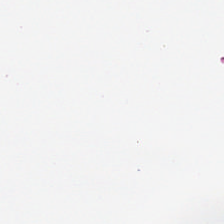H&E · 0.5 µm/px · FFPE tissue section.
Empty background.
